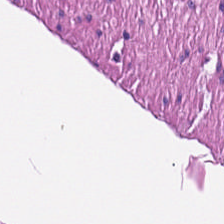H&E-stained tissue section. Q: Classify this patch.
A: It is smooth-muscle tissue.
